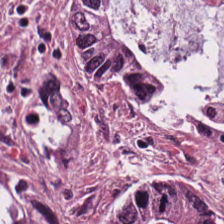H&E-stained tissue section — The tissue class is malignant epithelium.
